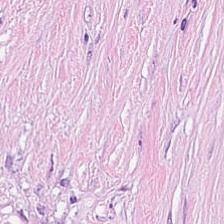Stain: H&E-stained tissue section.
Tissue class: desmoplastic stroma.
